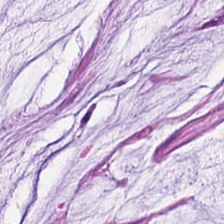0.5 µm/px; H&E stain. Histology — mucin.
